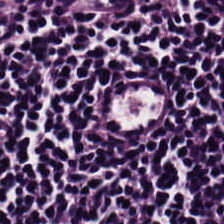H&E stain.
Showing lymphoid infiltrate.
